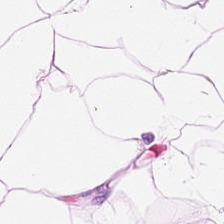Brightfield; hematoxylin and eosin; formalin-fixed paraffin-embedded section. Q: What does this patch show?
A: It is adipocytes.
